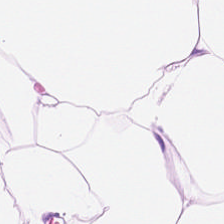Tissue class: fat tissue.
